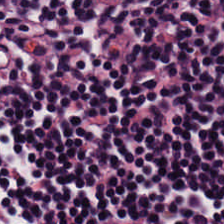H&E-stained tissue section. Predominantly lymphocytes.
